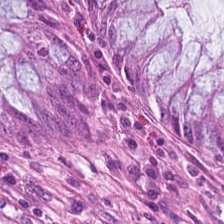Hematoxylin and eosin. Normal colon mucosa.
